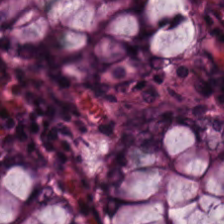Stain: H&E stain.
Acquisition: brightfield.
Tissue type: non-neoplastic colon mucosa.
